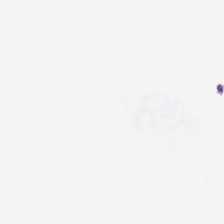Content: background.
